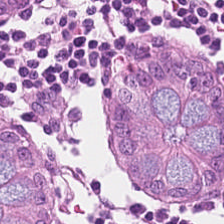Predominantly normal colon mucosa.
